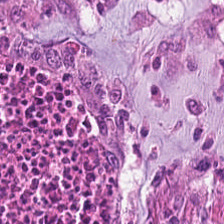The tissue here is colorectal adenocarcinoma epithelium.
